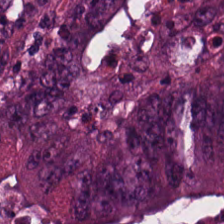This patch shows tumor epithelium.
